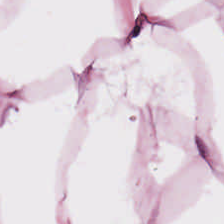Q: What type of tissue is this?
A: The field shows adipose tissue.
